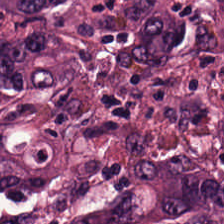H&E. The tissue here is malignant epithelium.
